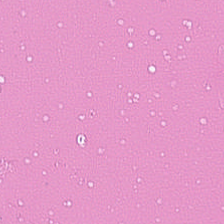{"tissue_type": "necrotic debris"}
